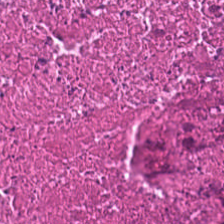FFPE tissue section; H&E-stained tissue section — The tissue here is necrotic debris.
